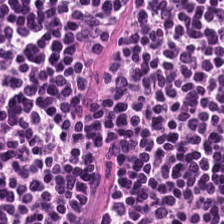Impression → lymphocytic infiltrate.
